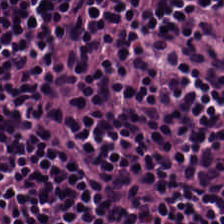Q: What tissue is shown?
A: Lymphocyte aggregate.
